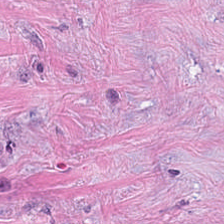Stain: H&E.
Tissue type: cancer-associated stroma.
